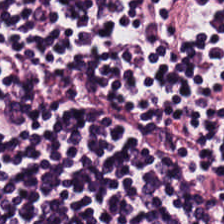224×224 pixel tile · hematoxylin-and-eosin stained section · formalin-fixed paraffin-embedded section.
The tissue here is lymphoid infiltrate.
